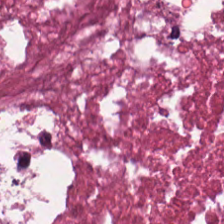Formalin-fixed paraffin-embedded section; H&E-stained tissue section; brightfield.
The tissue here is necrotic debris.
